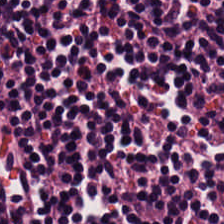Hematoxylin-and-eosin stained section; brightfield microscopy.
Q: Classify this patch.
A: This is lymphocyte aggregate.
